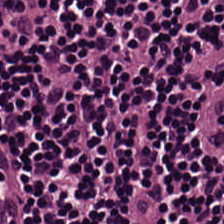224×224 px tile; H&E-stained tissue section — This patch shows lymphocytes.
